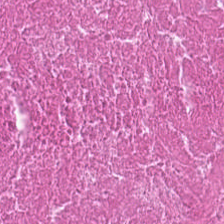H&E-stained tissue section. The predominant tissue is debris.
